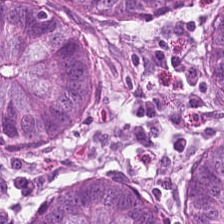Hematoxylin and eosin. Showing normal colonic mucosa.
